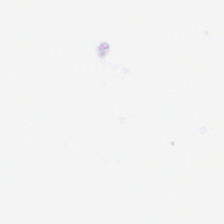Whole-slide-image patch. H&E.
Content = no tissue.
